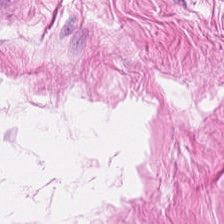H&E. Tissue class: smooth muscle.
